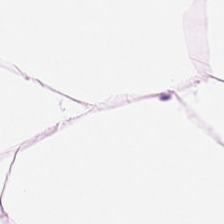0.5 microns per pixel. H&E stain — Tissue: adipose.
